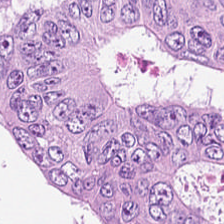Brightfield microscopy. H&E-stained tissue section. The predominant tissue is malignant epithelium.
